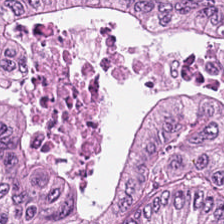H&E; 0.5 microns per pixel.
This patch shows malignant epithelium.
